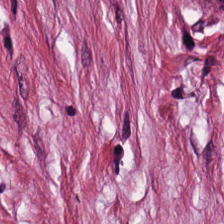This field is cancer-associated stroma.
